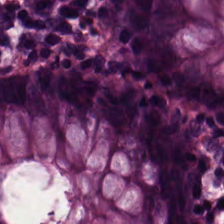Q: What does this patch show?
A: Non-neoplastic colon mucosa.
